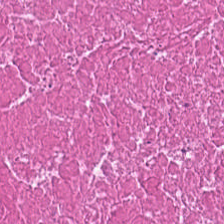0.5 microns per pixel · hematoxylin-and-eosin stained section.
This patch shows cellular debris.
